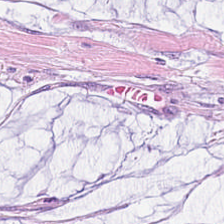Hematoxylin-and-eosin stained section — The tissue is mucin.
